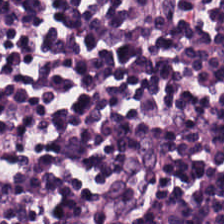H&E · 0.5 µm per pixel · 224×224 pixel tile.
Q: What is shown here?
A: It is lymphocytic infiltrate.
